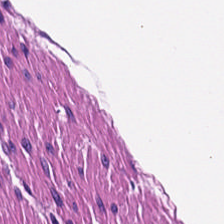H&E stain. Predominant tissue = muscularis.
